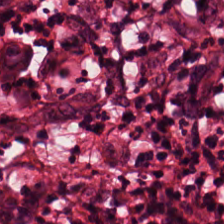H&E stain — Predominantly desmoplastic stroma.
